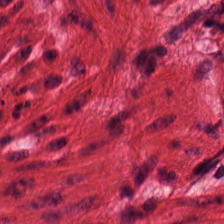Tissue type — smooth-muscle tissue.
